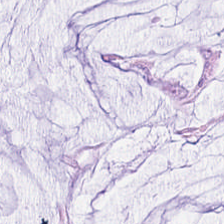H&E-stained tissue section. Q: What tissue type is shown here?
A: This is mucus.
